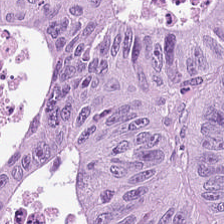Hematoxylin and eosin · formalin-fixed paraffin-embedded section.
Q: Identify the tissue.
A: It is colorectal adenocarcinoma.
